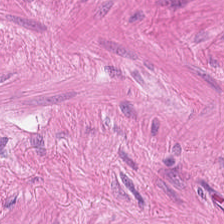H&E-stained tissue section — The tissue here is smooth muscle.
